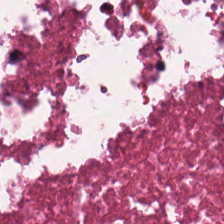H&E-stained tissue section. Q: What tissue type is shown here?
A: This is necrotic debris.
